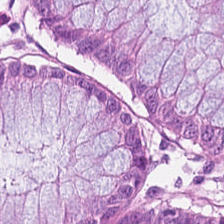The tissue here is normal colon mucosa.
